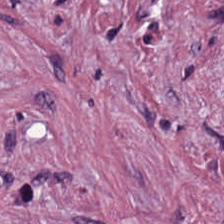Stain: H&E.
Preparation: FFPE.
Tissue class: cancer-associated stroma.
